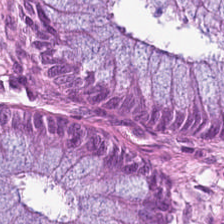Hematoxylin and eosin. 0.5 µm/px. Finding — normal colon mucosa.
